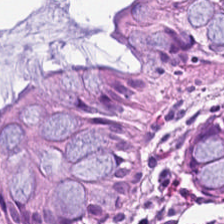Stain: H&E stain.
Predominant tissue: normal colonic mucosa.
